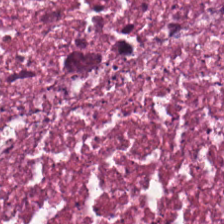Predominantly necrotic debris.
